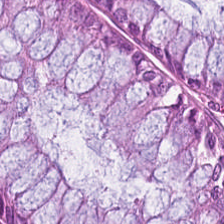Classification: non-neoplastic colon mucosa.
